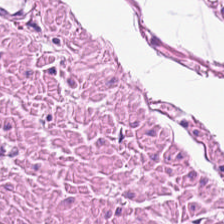0.5 microns per pixel. Whole-slide-image patch. H&E stain. Q: What tissue is shown?
A: The field shows smooth muscle.
